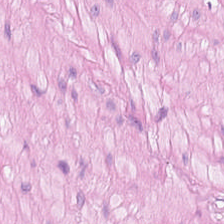H&E stain. 0.5 µm per pixel. Brightfield — Predominantly smooth-muscle tissue.
